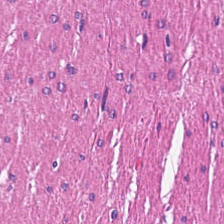Stain: hematoxylin and eosin.
Tile size: 224×224 pixel tile.
Classification: muscularis.
